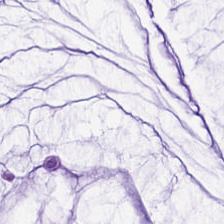224×224 pixel tile; hematoxylin and eosin — The tissue is extracellular mucin.
